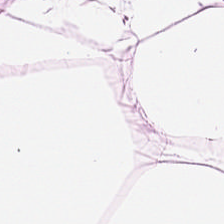H&E-stained tissue section — Tissue type: adipose.
